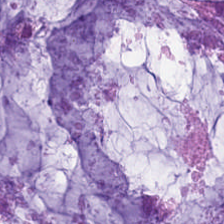Hematoxylin and eosin — Showing mucin.
